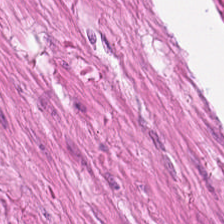H&E — Finding → smooth-muscle tissue.
